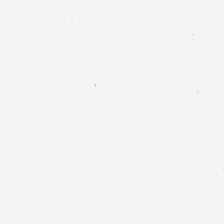H&E · 224×224 pixel tile — Q: What does this patch show?
A: This is background.
